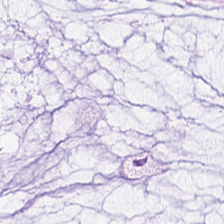H&E stain. Tissue type: mucin.
